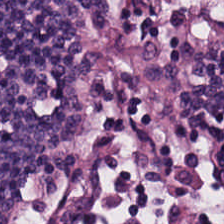H&E stain. Brightfield. 20× equivalent magnification. Classification = lymphocyte aggregate.
